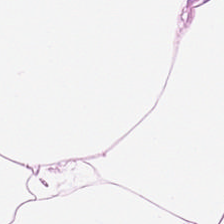H&E-stained tissue section. Q: What tissue type is shown here?
A: This is adipose tissue.
